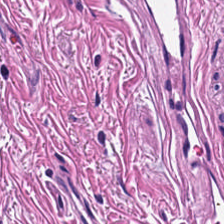The tissue type is smooth-muscle tissue.
